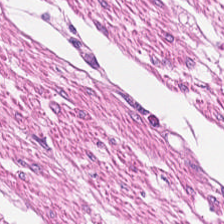Hematoxylin and eosin — Tissue class: smooth-muscle tissue.
